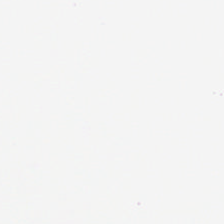H&E stain. Finding — empty background.
